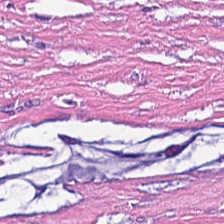Hematoxylin and eosin.
Showing cancer-associated stroma.
